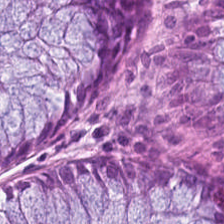Hematoxylin and eosin. Brightfield. 0.5 microns per pixel.
Q: What tissue is shown?
A: The field shows normal colonic mucosa.
